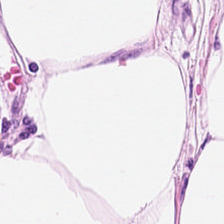H&E. Predominantly adipose tissue.
